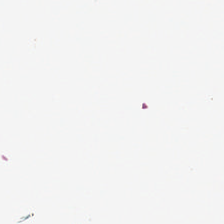This field is background (no tissue).
